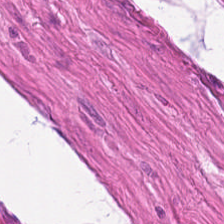WSI patch. H&E-stained tissue section.
Showing smooth-muscle tissue.
